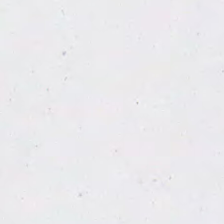Hematoxylin and eosin · 0.5 microns per pixel — Empty background.
